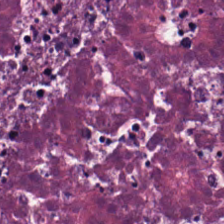20× equivalent magnification. H&E. The predominant tissue is necrotic debris.
